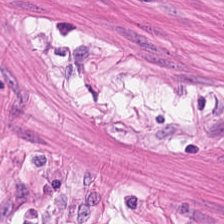This field is smooth muscle.
